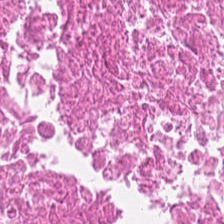Histology — debris.
